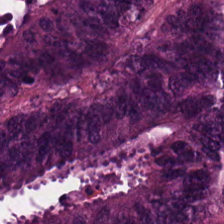Stain: hematoxylin and eosin.
Acquisition: whole-slide-image patch.
Classification: colorectal adenocarcinoma epithelium.
